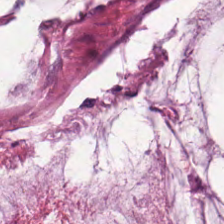H&E stain — Mucin.
